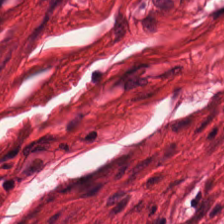Stain: hematoxylin and eosin.
Classification: smooth-muscle tissue.
